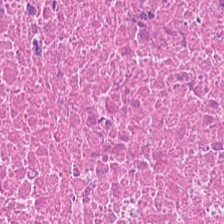Stain: H&E stain.
Preparation: formalin-fixed paraffin-embedded section.
Tile size: 224×224 px patch.
Tissue class: necrotic debris.
